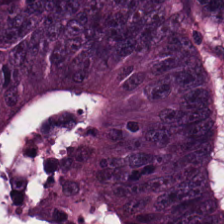Hematoxylin and eosin — Q: What tissue is shown?
A: It is adenocarcinoma.
